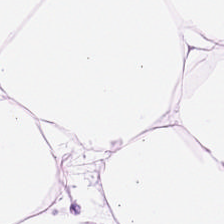0.5 µm/px; formalin-fixed paraffin-embedded section; H&E stain.
Impression → fat tissue.
